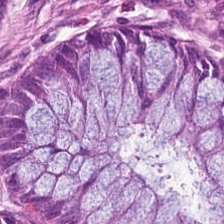H&E stain — Q: What is the predominant tissue type?
A: It is normal colon mucosa.
